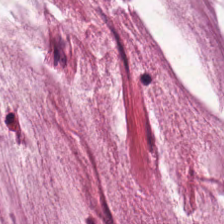H&E — Mucus.
